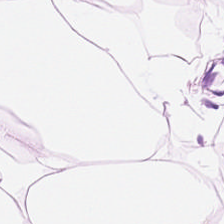Stain: H&E.
Tissue: adipose.
